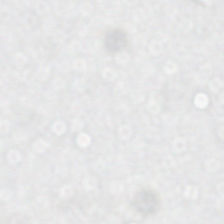FFPE. 224×224 px patch. H&E stain.
Q: Classify this patch.
A: This is background.
